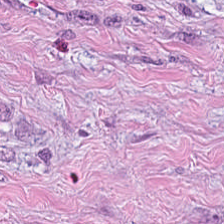Stain: H&E stain.
Predominant tissue: tumor-associated stroma.
